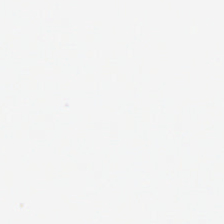H&E — This field is background (no tissue).
